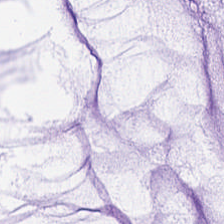FFPE · hematoxylin and eosin. Tissue class: extracellular mucin.
